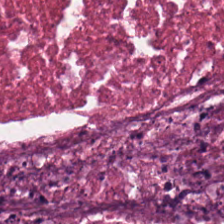Classification: cellular debris.
